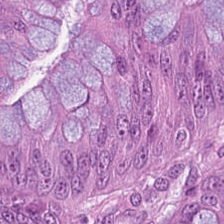Histology → colorectal adenocarcinoma epithelium.
